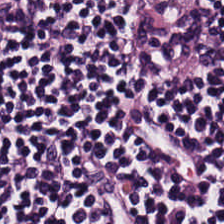Hematoxylin and eosin. {"tissue_type": "lymphocyte aggregate"}
